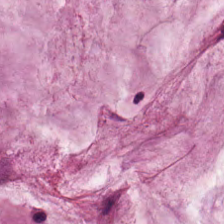Stain: H&E-stained tissue section.
Resolution: 0.5 µm/px.
Tissue class: extracellular mucin.
